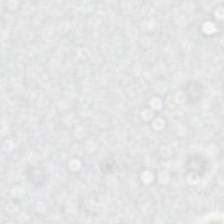0.5 µm per pixel; hematoxylin and eosin; 224×224 pixel tile.
This field is background (no tissue).
